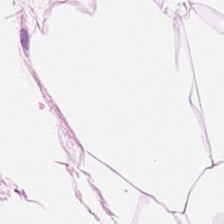Hematoxylin-and-eosin stained section.
Showing fat tissue.
